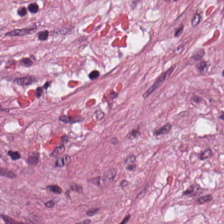Hematoxylin-and-eosin stained section. 224×224 pixel tile.
Q: What is the predominant tissue type?
A: This is cancer-associated stroma.
